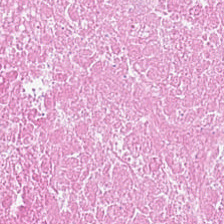Hematoxylin and eosin. Predominantly necrotic debris.
